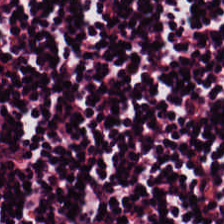H&E-stained tissue section.
Predominantly lymphocyte aggregate.
